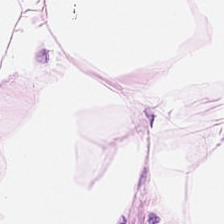Finding — adipocytes.
